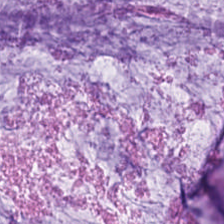Stain: H&E stain.
Tile size: 224×224 px patch.
Tissue type: mucin.
